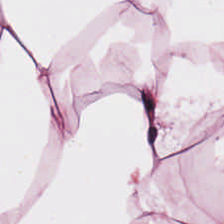H&E stain. 0.5 microns per pixel — Q: Classify this patch.
A: The field shows adipocytes.
